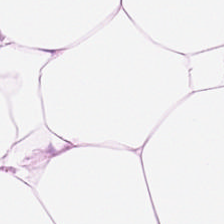Formalin-fixed paraffin-embedded section. H&E-stained tissue section. 0.5 µm/px. This patch shows fat tissue.
